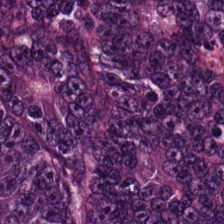Stain: H&E-stained tissue section.
Tile size: 224×224 px patch.
Acquisition: WSI patch.
Tissue: tumor epithelium.
